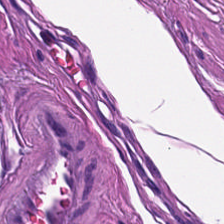Stain: hematoxylin-and-eosin stained section.
Tissue type: smooth-muscle tissue.
